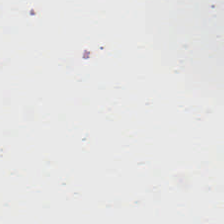H&E. Field content: empty background.
